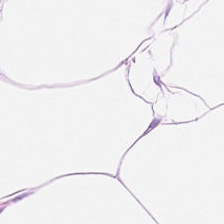H&E.
This field is fat tissue.
